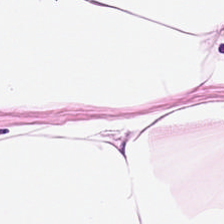Hematoxylin-and-eosin stained section — Showing adipocytes.
